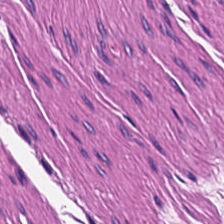Predominant tissue = smooth-muscle tissue.
